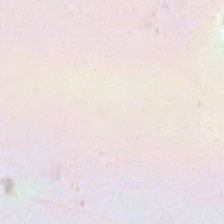0.5 microns per pixel · brightfield · H&E-stained tissue section — Impression — background (no tissue).
